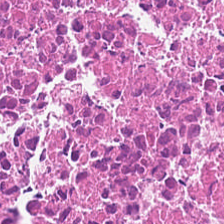0.5 µm/px; brightfield; H&E stain — This field is necrotic debris.
